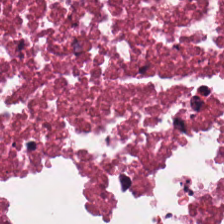0.5 µm per pixel; H&E-stained tissue section — Showing cellular debris.
